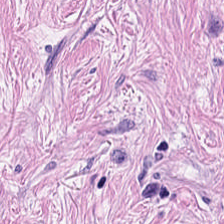H&E stain — The tissue here is desmoplastic stroma.
